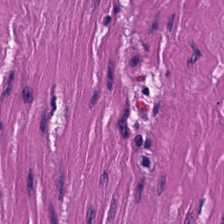Impression → smooth muscle.
